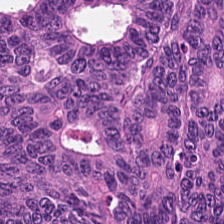Hematoxylin-and-eosin stained section. The tissue here is malignant epithelium.
